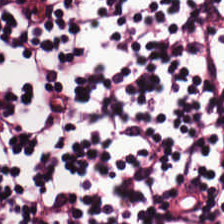Hematoxylin-and-eosin stained section.
Tissue — lymphoid infiltrate.
